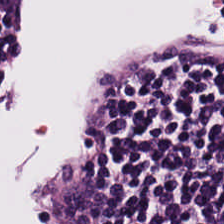{"tissue_type": "lymphocyte aggregate"}
